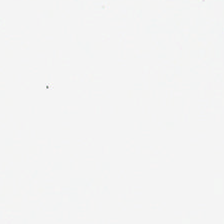FFPE tissue section · 224×224 pixel tile · H&E-stained tissue section — {"content": "background"}
